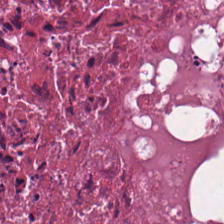H&E — debris.
